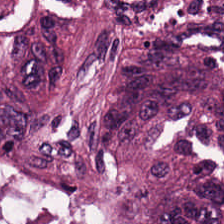H&E-stained tissue section · FFPE tissue section. Q: What tissue is shown?
A: Tumor epithelium.
